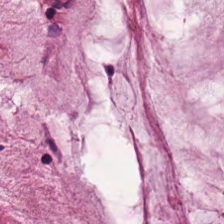H&E patch showing mucus.
